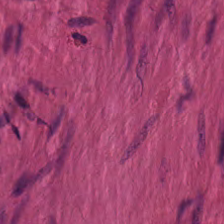0.5 µm per pixel. H&E.
This patch shows smooth-muscle tissue.
